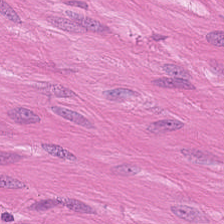Hematoxylin and eosin. FFPE. 20× equivalent magnification — Finding — smooth-muscle tissue.
